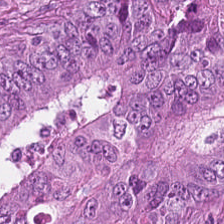Hematoxylin and eosin. Showing colorectal adenocarcinoma.
